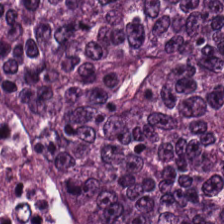FFPE tissue section. H&E-stained tissue section — Tissue class: malignant epithelium.
